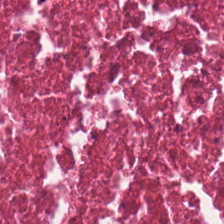H&E. Predominantly cellular debris.
